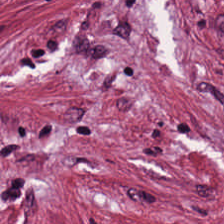224×224 px tile. Hematoxylin and eosin. The predominant tissue is cancer-associated stroma.
